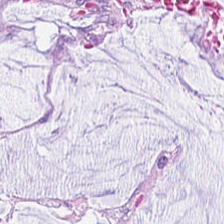224×224 pixel tile; H&E stain; brightfield.
The predominant tissue is mucus.
